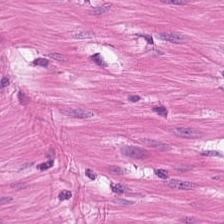FFPE tissue section. Brightfield. H&E-stained tissue section.
Q: What type of tissue is this?
A: Smooth muscle.
